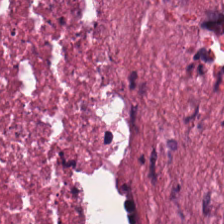Stain: H&E stain.
Resolution: 0.5 microns per pixel.
Tissue type: debris.
